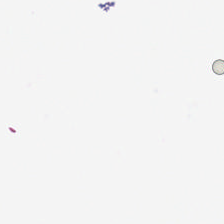The content is empty background.
